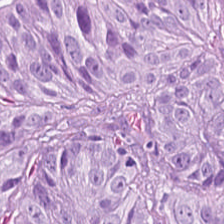H&E stain. Showing tumor epithelium.
